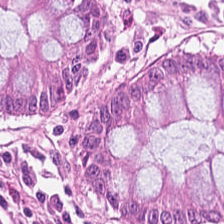20× equivalent magnification; formalin-fixed paraffin-embedded section; hematoxylin-and-eosin stained section — Histology → normal colonic mucosa.
